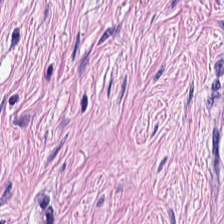Hematoxylin-and-eosin stained section. Predominant tissue — tumor stroma.
